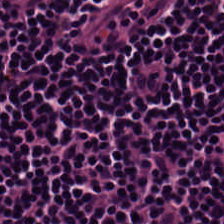H&E stain — Predominant tissue = lymphoid infiltrate.
